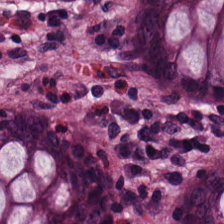0.5 µm/px. Hematoxylin-and-eosin stained section. WSI patch. Showing normal colon mucosa.
